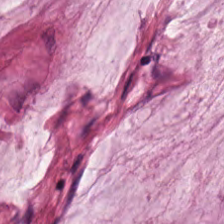{"tissue_type": "extracellular mucin"}
